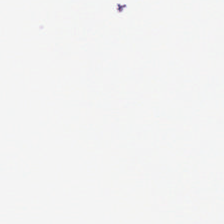H&E-stained tissue section. Q: What is shown here?
A: It is empty background.
